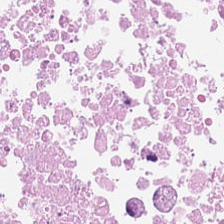H&E. Q: What is shown in this field?
A: It is cellular debris.
